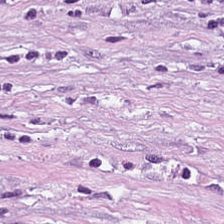H&E-stained tissue section. WSI patch — {"tissue_type": "tumor-associated stroma"}
